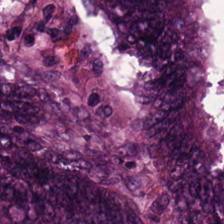H&E stain. Q: What tissue is shown?
A: This is colorectal adenocarcinoma.
